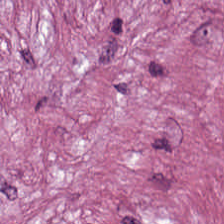The tissue here is desmoplastic stroma.
